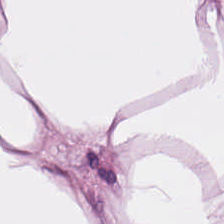224×224 pixel tile · WSI patch · hematoxylin-and-eosin stained section — Finding → adipocytes.
